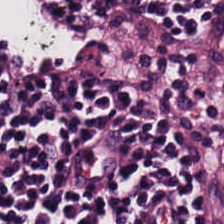The tissue class is lymphocytic infiltrate.
